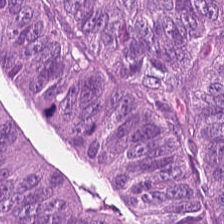H&E · 224×224 px patch · 20× equivalent magnification. Showing tumor epithelium.
